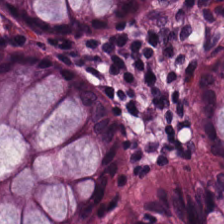H&E · 224×224 pixel tile — Tissue type: benign colonic mucosa.
